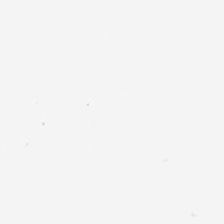Finding — empty background.
